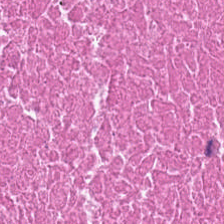Hematoxylin-and-eosin stained section. 0.5 µm per pixel. 224×224 pixel tile. This field is cellular debris.
